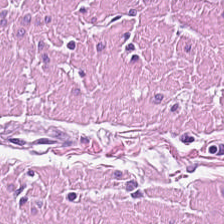Hematoxylin and eosin — Classification: muscularis.
